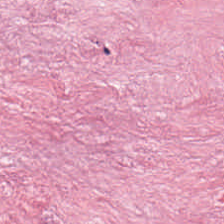Stain: hematoxylin and eosin.
Tissue type: desmoplastic stroma.
